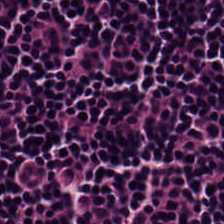This field is lymphocyte aggregate.
